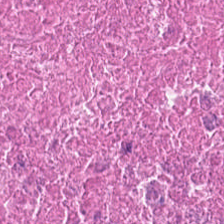This patch shows necrotic debris.
